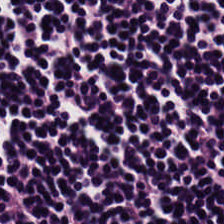Hematoxylin-and-eosin stained section; 224×224 px patch; whole-slide-image patch.
Q: What tissue type is shown here?
A: It is lymphocytic infiltrate.
